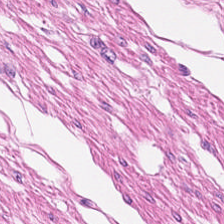Hematoxylin and eosin; 20× equivalent magnification. This field is smooth-muscle tissue.
